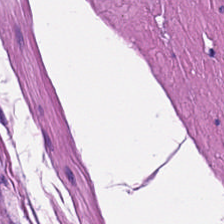H&E.
Q: What tissue is shown?
A: The field shows muscularis.
